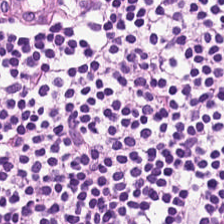Hematoxylin and eosin · 0.5 µm/px — Tissue class = lymphocyte aggregate.
